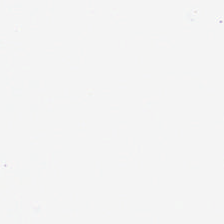224×224 px tile; H&E stain; formalin-fixed paraffin-embedded section — Q: What is shown in this field?
A: The field shows no tissue.
